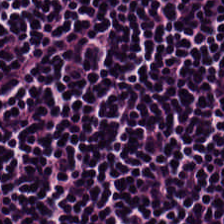H&E. The predominant tissue is lymphocytic infiltrate.
